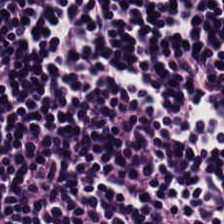The tissue is lymphocytes.
